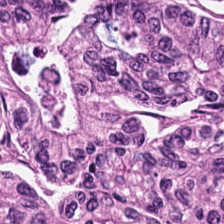H&E-stained tissue section showing malignant epithelium.
